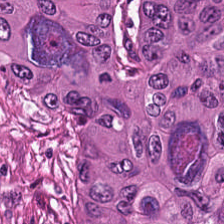H&E stain. Q: What tissue is shown?
A: It is adenocarcinoma.
